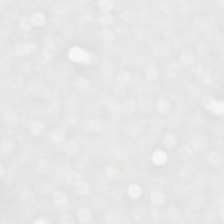0.5 microns per pixel · 224×224 px patch · H&E-stained tissue section. The content is background (no tissue).
